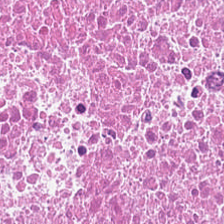Classification: debris.
